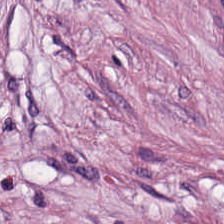Predominantly tumor stroma.
